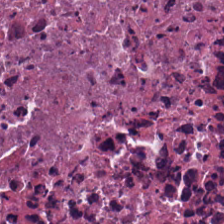The tissue here is cellular debris.
